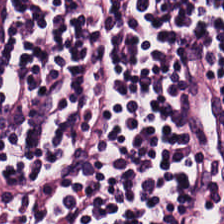224×224 px patch. 20× equivalent magnification. Hematoxylin and eosin.
Q: What tissue is shown?
A: Lymphocytes.
